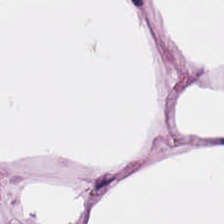Q: What does this patch show?
A: This is adipocytes.
